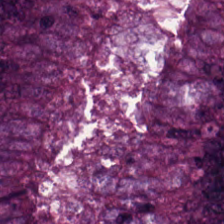Hematoxylin-and-eosin stained section.
The predominant tissue is malignant epithelium.
